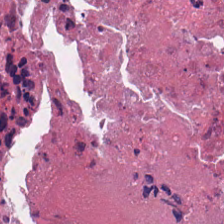Hematoxylin and eosin. Histology — cellular debris.
